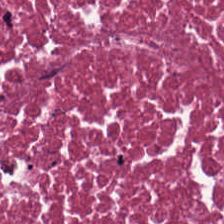H&E stain — The predominant tissue is necrotic debris.
